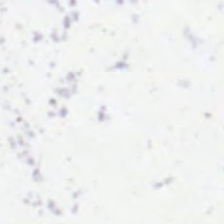0.5 µm/px; hematoxylin and eosin; brightfield microscopy.
Impression → empty background.
